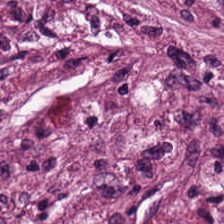Stain: hematoxylin-and-eosin stained section.
Predominant tissue: tumor stroma.
